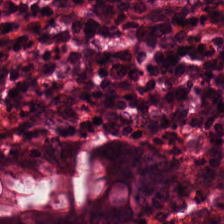Hematoxylin-and-eosin stained section. Finding → non-neoplastic colon mucosa.
